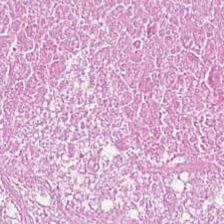H&E — Q: What does this patch show?
A: This is debris.
